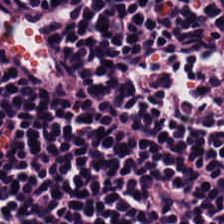Hematoxylin and eosin.
Tissue class: lymphocytic infiltrate.
